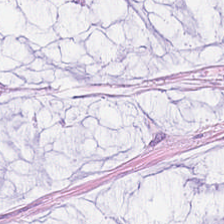Hematoxylin and eosin — {"tissue_type": "extracellular mucin"}
